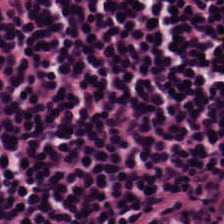Stain: hematoxylin and eosin.
Classification: lymphocytic infiltrate.
